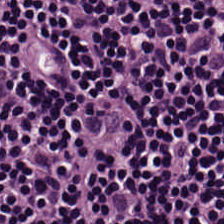Stain: H&E stain.
Tissue type: lymphocytic infiltrate.
